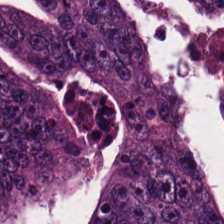H&E stain.
Impression — malignant epithelium.
